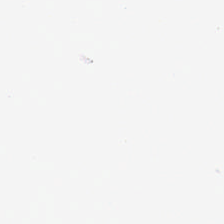Brightfield. H&E.
Background — no tissue in this field.
